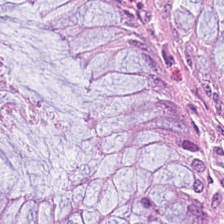Hematoxylin and eosin. WSI patch. 224×224 px tile — Q: What is the predominant tissue type?
A: It is normal colonic mucosa.
